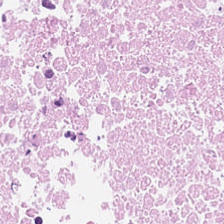H&E-stained tissue section.
Predominantly cellular debris.
